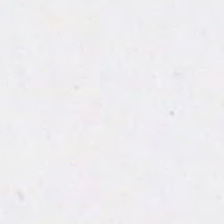Empty field — background (no tissue).
